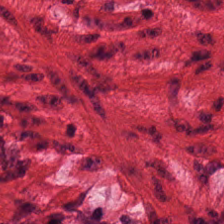H&E-stained tissue section. Tissue type — smooth-muscle tissue.
